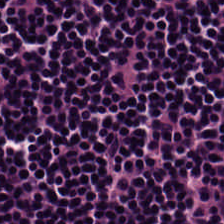H&E. Predominantly lymphocyte aggregate.
